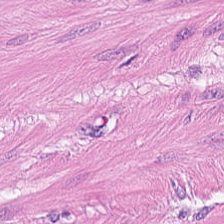H&E-stained tissue section — Impression — muscularis.
